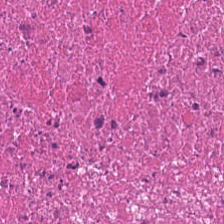Hematoxylin-and-eosin stained section. {"tissue_type": "necrotic debris"}
